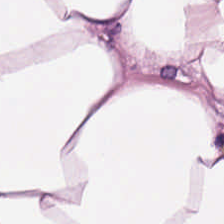Stain: H&E.
Tissue type: fat tissue.
